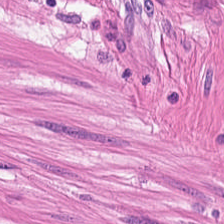H&E-stained tissue section. Q: What is shown in this field?
A: Smooth-muscle tissue.
